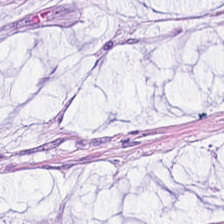Tissue: mucin.
